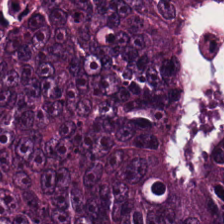H&E stain.
Q: What tissue type is shown here?
A: The field shows malignant epithelium.
